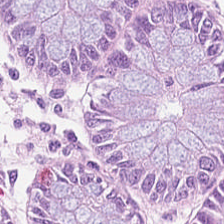20× equivalent magnification · hematoxylin-and-eosin stained section · 224×224 pixel tile. Showing non-neoplastic colon mucosa.
